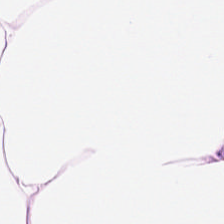Hematoxylin-and-eosin section: adipose tissue.
